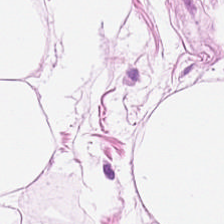Stain: hematoxylin and eosin.
Predominant tissue: adipocytes.
